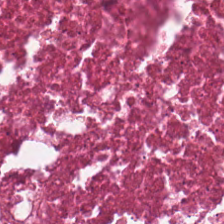{"tissue_type": "cellular debris"}
